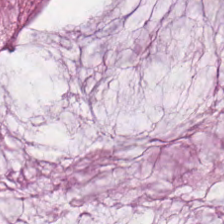H&E-stained section; the field shows extracellular mucin.
